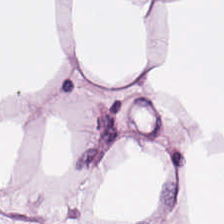H&E-stained section; the field shows adipocytes.
